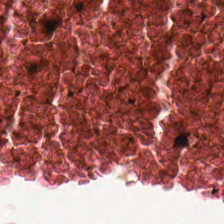Stain: H&E.
Preparation: formalin-fixed paraffin-embedded section.
Tissue class: debris.
